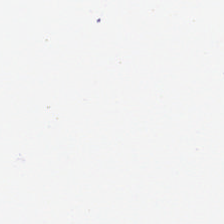H&E stain. Classification: no tissue.
